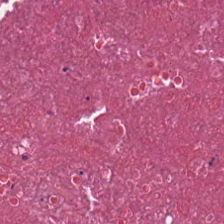Hematoxylin and eosin — Classification — debris.
